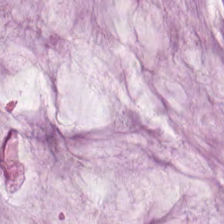Hematoxylin and eosin. {"tissue_type": "mucus"}
